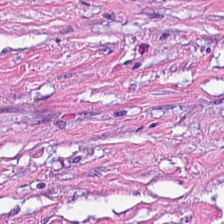H&E-stained tissue section. Brightfield microscopy. Formalin-fixed paraffin-embedded section — Desmoplastic stroma.
